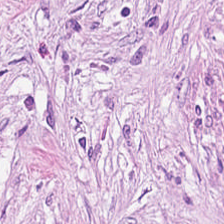Classification: desmoplastic stroma.
